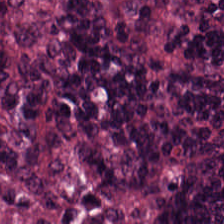Hematoxylin and eosin. Brightfield. FFPE tissue section.
Tissue class: lymphocytes.
